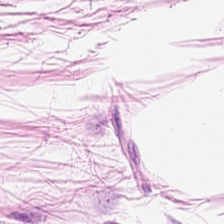H&E-stained tissue section · WSI patch — This field is adipose tissue.
